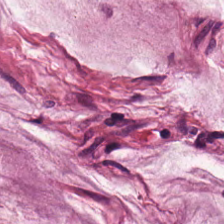Formalin-fixed paraffin-embedded section. H&E — Mucin.
